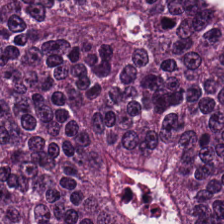20× equivalent magnification · brightfield · H&E — Q: What is the predominant tissue type?
A: The field shows colorectal adenocarcinoma epithelium.
